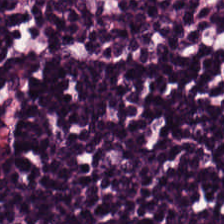H&E-stained tissue section. FFPE tissue section — This field is lymphocyte aggregate.
